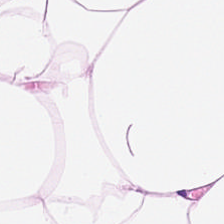Formalin-fixed paraffin-embedded section; 224×224 px patch; hematoxylin and eosin.
Tissue = adipose.
